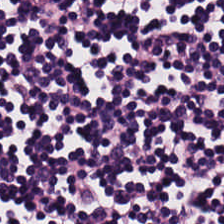This field is lymphocytes.
